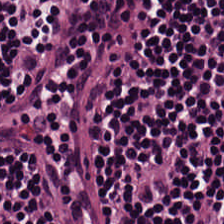H&E patch showing lymphocytes.
